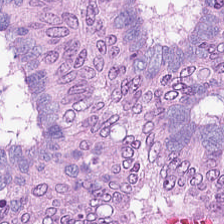0.5 microns per pixel; H&E-stained tissue section.
Showing tumor epithelium.
